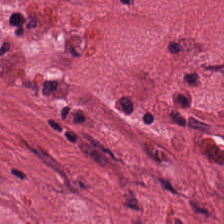0.5 µm per pixel. H&E-stained tissue section. Whole-slide-image patch. Classification = desmoplastic stroma.
